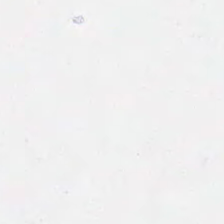H&E stain — The classification is no tissue.
